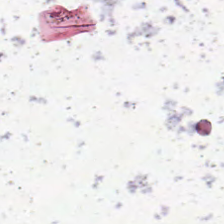Stain: H&E.
Tile size: 224×224 px patch.
Resolution: 20× equivalent magnification.
Field content: background (no tissue).
